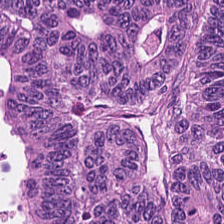Formalin-fixed paraffin-embedded section. H&E. This patch shows malignant epithelium.
